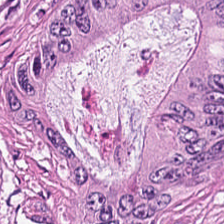Hematoxylin-and-eosin section: adenocarcinoma.
